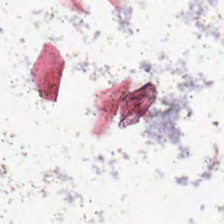H&E stain.
Empty field — background (no tissue).
